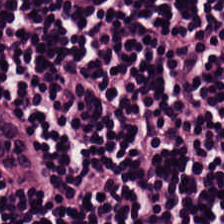Tissue — lymphocyte aggregate.
